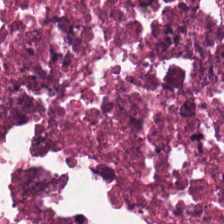FFPE · 224×224 px patch · hematoxylin-and-eosin stained section — Showing cellular debris.
